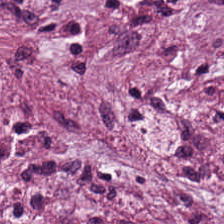WSI patch · H&E · 224×224 px patch.
Q: Identify the tissue.
A: The field shows desmoplastic stroma.
